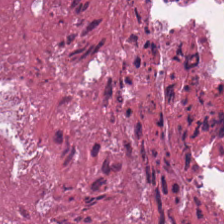Q: What is shown in this field?
A: It is cellular debris.
